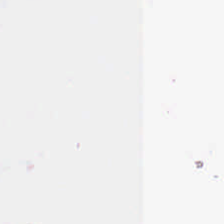H&E stain.
Histology → no tissue.
